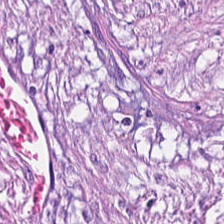H&E stain — Predominant tissue — tumor stroma.
